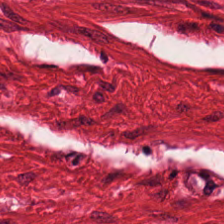FFPE tissue section. 224×224 pixel tile. H&E-stained tissue section — Finding — muscularis.
